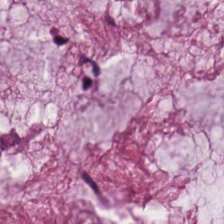Hematoxylin and eosin.
This patch shows mucus.
